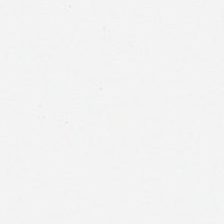Hematoxylin and eosin — Impression — empty background.
